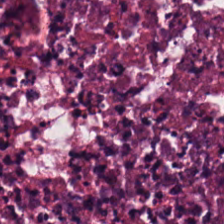H&E-stained tissue section showing cellular debris.
